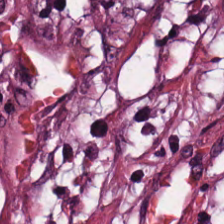Whole-slide-image patch; H&E stain.
The tissue class is cancer-associated stroma.
